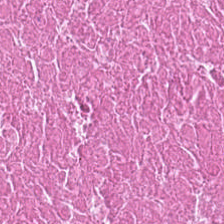H&E — Q: What type of tissue is this?
A: The field shows debris.
